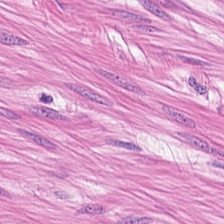Q: What is shown in this field?
A: The field shows smooth-muscle tissue.
